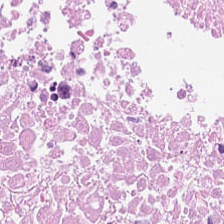Finding → cellular debris.
